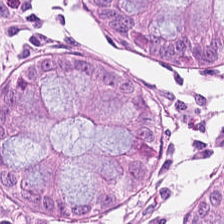H&E. Q: What is shown in this field?
A: It is normal colon mucosa.
